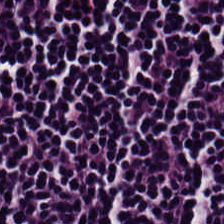H&E-stained tissue section. Tissue class: lymphoid infiltrate.
